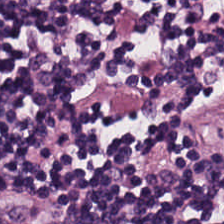H&E-stained tissue section. FFPE tissue section. 0.5 microns per pixel.
Q: Classify this patch.
A: The field shows lymphocytic infiltrate.
